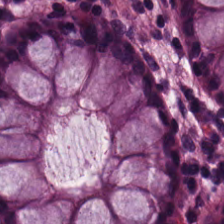224×224 px patch; brightfield microscopy; H&E-stained tissue section.
Tissue type — non-neoplastic colon mucosa.
